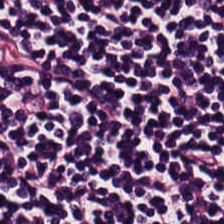H&E stain. 0.5 microns per pixel — This patch shows lymphocytic infiltrate.
